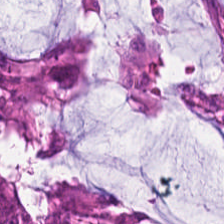Stain: H&E.
Tissue type: adenocarcinoma.
